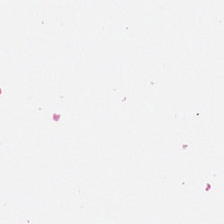H&E stain. FFPE tissue section. This patch shows no tissue.
